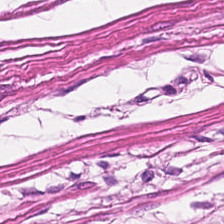H&E · whole-slide-image patch. Q: What is shown here?
A: The field shows muscularis.
